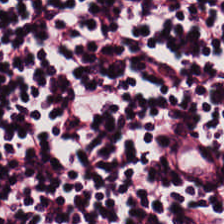H&E stain; 224×224 pixel tile — Q: What does this patch show?
A: It is lymphocytic infiltrate.
